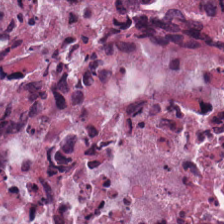H&E-stained tissue section — Impression — debris.
